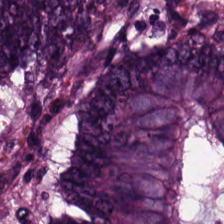Hematoxylin-and-eosin stained section. Q: What tissue type is shown here?
A: Malignant epithelium.
